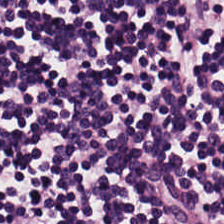This field is lymphoid infiltrate.
